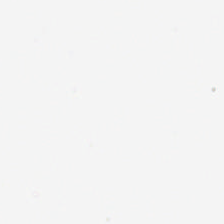Brightfield microscopy · H&E · 20× equivalent magnification — No tissue present; background only.
